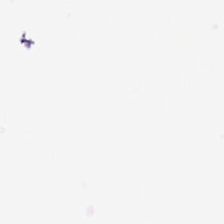Hematoxylin-and-eosin stained section · whole-slide-image patch.
Q: What is shown in this field?
A: The field shows empty background.
